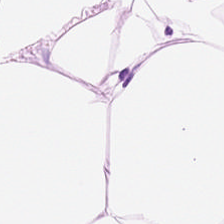224×224 px patch; H&E stain.
Tissue type — adipose tissue.
